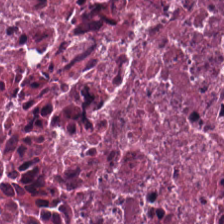H&E-stained tissue section; FFPE. Classification — cellular debris.
